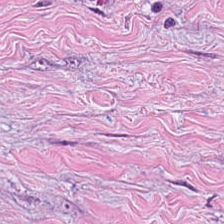H&E-stained tissue section. WSI patch.
Q: Classify this patch.
A: It is tumor stroma.
